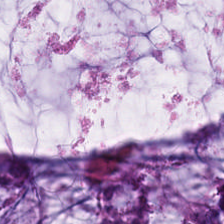H&E-stained tissue section.
Impression → mucin.
